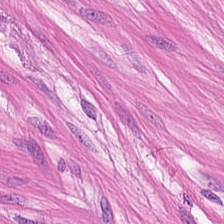Hematoxylin-and-eosin stained section.
{"tissue_type": "smooth muscle"}
